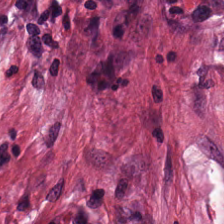Q: What is the predominant tissue type?
A: This is desmoplastic stroma.
